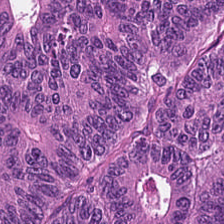Hematoxylin and eosin · brightfield microscopy. Predominantly adenocarcinoma.
